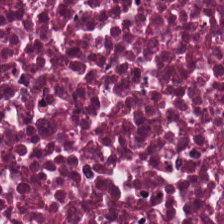H&E stain. Impression — cellular debris.
